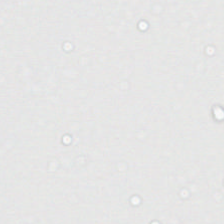Q: Classify this patch.
A: This is empty background.
